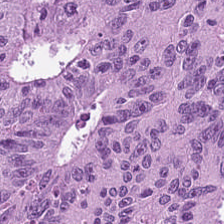H&E-stained section; the field shows tumor epithelium.
